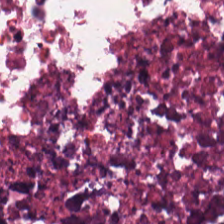Finding → cellular debris.
